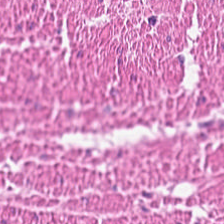The tissue class is smooth-muscle tissue.
